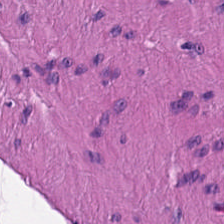Predominantly smooth-muscle tissue.
